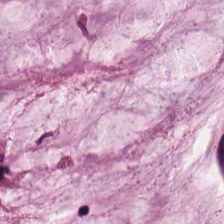Whole-slide-image patch. Hematoxylin-and-eosin stained section — Predominantly mucin.
